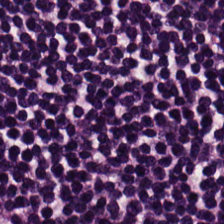Brightfield. Hematoxylin and eosin. FFPE.
Showing lymphocytes.
